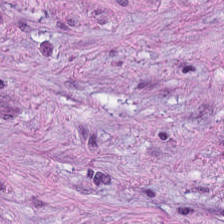H&E-stained tissue section.
Predominantly tumor stroma.
